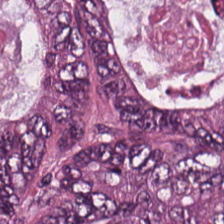0.5 µm/px · hematoxylin and eosin. The predominant tissue is colorectal adenocarcinoma.
